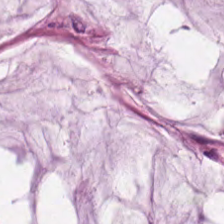This field is mucus.
